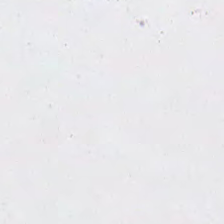Hematoxylin-and-eosin stained section. Histology — background (no tissue).
